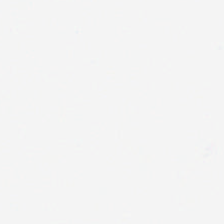FFPE tissue section; H&E stain; 0.5 µm per pixel.
Background.
